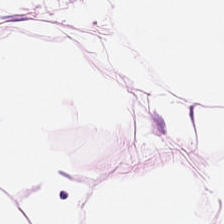FFPE · hematoxylin and eosin · WSI patch — Q: Identify the tissue.
A: It is fat tissue.
